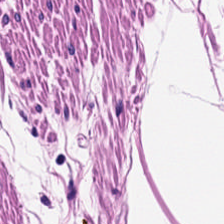Brightfield microscopy; hematoxylin-and-eosin stained section. Showing smooth-muscle tissue.
